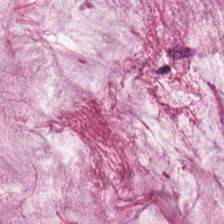224×224 px tile; H&E stain; whole-slide-image patch. Q: What is shown here?
A: It is mucus.
